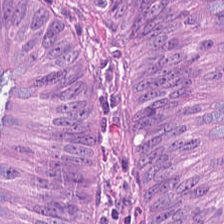Hematoxylin and eosin.
The tissue type is malignant epithelium.
